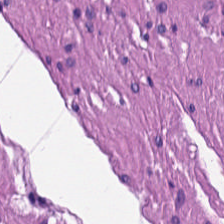H&E-stained tissue section. 224×224 px tile. Brightfield — Impression → smooth-muscle tissue.
